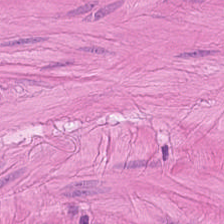Histology → smooth-muscle tissue.
